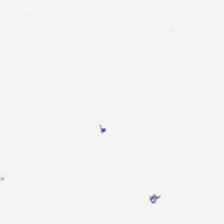224×224 px patch · hematoxylin-and-eosin stained section — This patch shows empty background.
